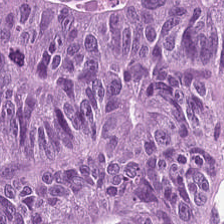20× equivalent magnification. H&E.
Impression → colorectal adenocarcinoma.
